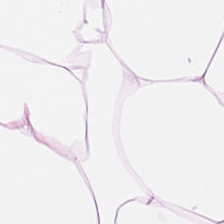H&E stain. Q: What does this patch show?
A: The field shows adipose tissue.
